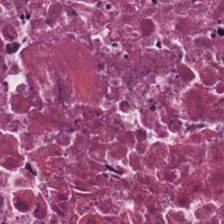Debris.
